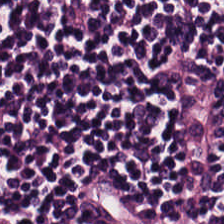Hematoxylin and eosin. Tissue type — lymphoid infiltrate.
